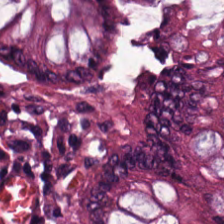H&E stain.
Finding — normal colonic mucosa.
